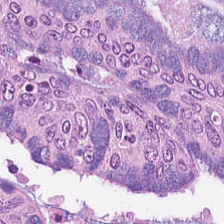0.5 µm per pixel; H&E-stained tissue section; formalin-fixed paraffin-embedded section — Tissue: colorectal adenocarcinoma.
